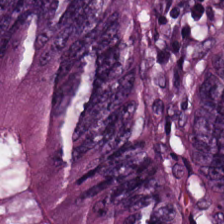224×224 px patch · hematoxylin and eosin. The tissue is colorectal adenocarcinoma epithelium.
